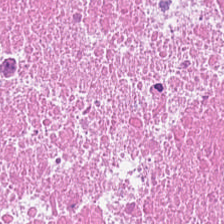The tissue here is necrotic debris.
